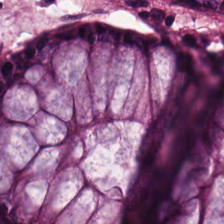0.5 µm/px; WSI patch; H&E stain. The tissue here is non-neoplastic colon mucosa.
